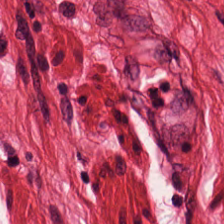Hematoxylin-and-eosin stained section.
Predominant tissue = muscularis.
